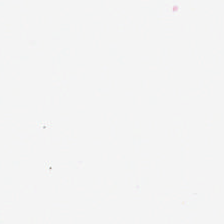Hematoxylin-and-eosin stained section. This field is background (no tissue).
